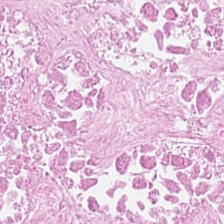H&E-stained tissue section; formalin-fixed paraffin-embedded section — Q: Classify this patch.
A: It is necrotic debris.
